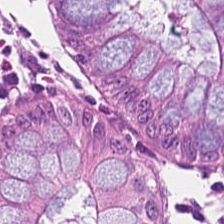H&E · WSI patch. Q: Classify this patch.
A: The field shows normal colonic mucosa.
